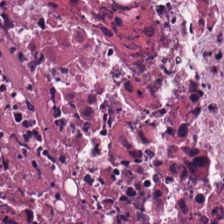Showing cellular debris.
